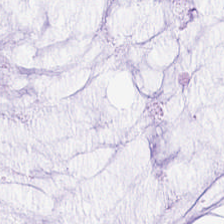H&E-stained tissue section showing mucin.
